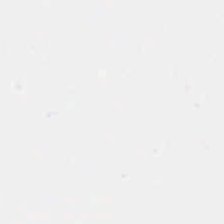0.5 µm/px. FFPE. Hematoxylin and eosin — Impression → empty background.
